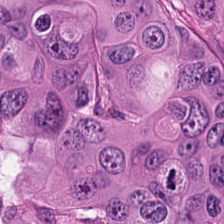H&E-stained tissue section. FFPE tissue section — Histology → tumor epithelium.
